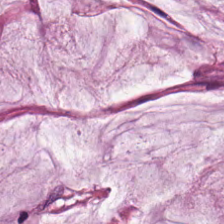H&E — Predominantly extracellular mucin.
